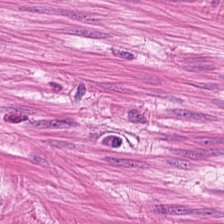H&E stain.
Q: Identify the tissue.
A: Smooth muscle.
